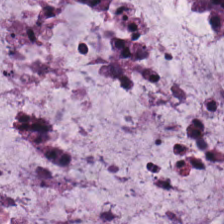H&E. The tissue here is mucus.
